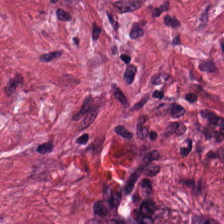0.5 µm/px · H&E-stained tissue section — Q: Classify this patch.
A: This is desmoplastic stroma.
